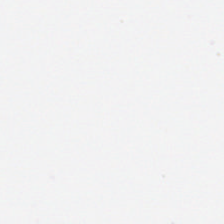Hematoxylin and eosin · FFPE tissue section.
The classification is background (no tissue).
